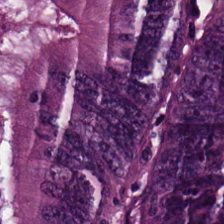Hematoxylin and eosin.
Predominantly colorectal adenocarcinoma.
